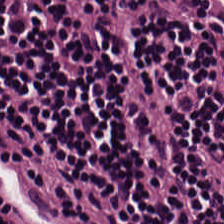Stain: H&E stain.
Resolution: 0.5 µm/px.
Acquisition: brightfield microscopy.
Tissue class: lymphocytes.
